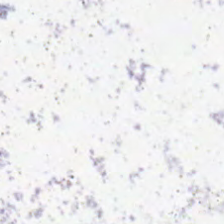H&E-stained tissue section. 0.5 µm/px. Brightfield.
Empty field — no tissue.
